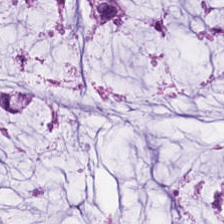H&E-stained tissue section · 224×224 pixel tile · 0.5 µm/px — Tissue: mucus.
